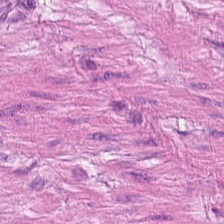Smooth muscle.
